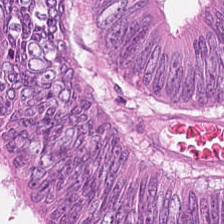FFPE tissue section; hematoxylin and eosin — Q: What is shown in this field?
A: It is adenocarcinoma.
